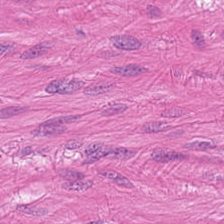H&E. 224×224 pixel tile. Showing smooth muscle.
